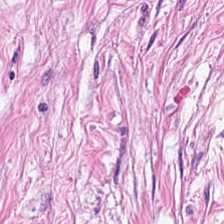Hematoxylin and eosin. Q: What is shown here?
A: The field shows desmoplastic stroma.
